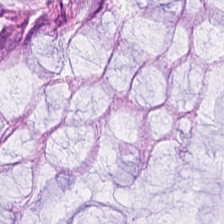Formalin-fixed paraffin-embedded section; whole-slide-image patch; H&E stain. The tissue here is non-neoplastic colon mucosa.
